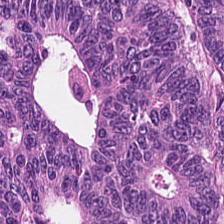H&E patch showing colorectal adenocarcinoma epithelium.
